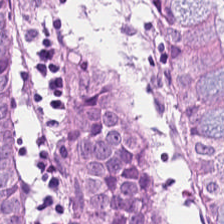H&E-stained tissue section.
Finding → normal colon mucosa.
